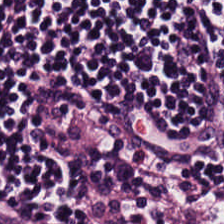H&E stain. WSI patch. FFPE.
Impression → lymphocytic infiltrate.
